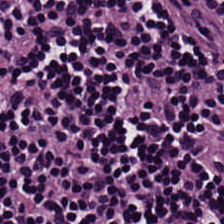Hematoxylin and eosin.
This field is lymphocytes.
